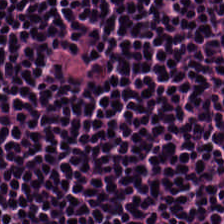H&E — Showing lymphocytic infiltrate.
